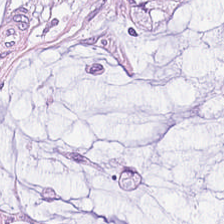Brightfield. H&E stain — The tissue here is extracellular mucin.
